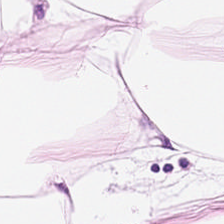The predominant tissue is adipose.
